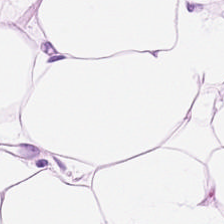H&E.
Impression → adipose.
